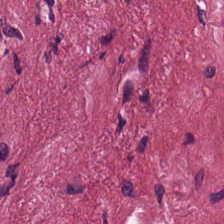H&E-stained tissue section.
Predominant tissue = tumor-associated stroma.
